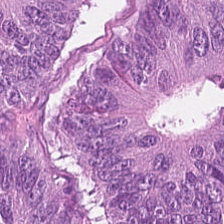H&E-stained tissue section; 0.5 µm per pixel.
{"tissue_type": "tumor epithelium"}
